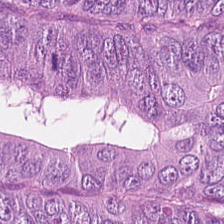H&E stain.
The tissue here is adenocarcinoma.
